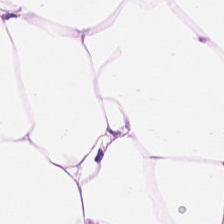H&E-stained tissue section. Q: What is the predominant tissue type?
A: The field shows adipose.
